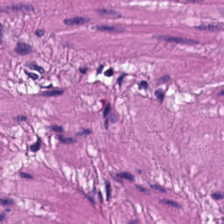H&E patch showing smooth-muscle tissue.
